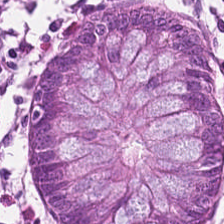Hematoxylin-and-eosin stained section. Formalin-fixed paraffin-embedded section. 0.5 µm/px.
Histology — normal colon mucosa.
